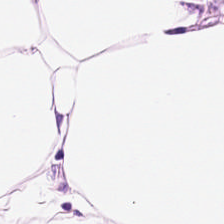H&E · FFPE.
Tissue class: fat tissue.
